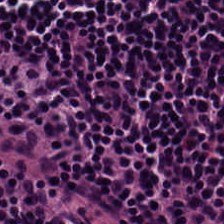Hematoxylin-and-eosin stained section.
Histology → lymphocytic infiltrate.
